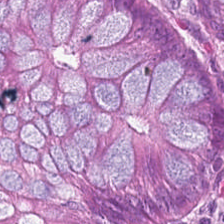Hematoxylin and eosin. Tissue: benign colonic mucosa.
